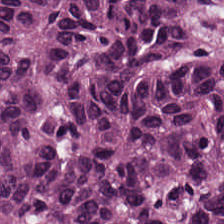H&E stain. Q: What is shown in this field?
A: This is malignant epithelium.
